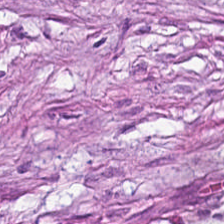0.5 µm per pixel; hematoxylin and eosin.
This field is cancer-associated stroma.
